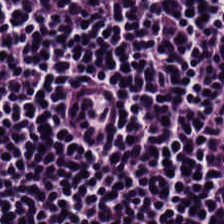H&E.
Tissue type = lymphocyte aggregate.
